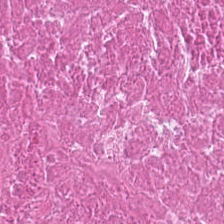H&E-stained section; the field shows debris.
